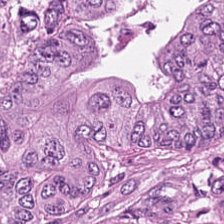20× equivalent magnification · hematoxylin-and-eosin stained section. The tissue is colorectal adenocarcinoma.
